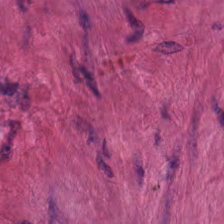H&E — Q: What tissue is shown?
A: This is smooth-muscle tissue.
